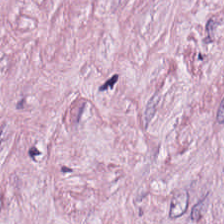H&E — Tissue class: tumor-associated stroma.
